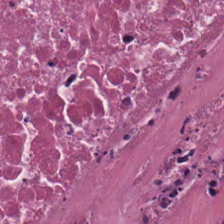Stain: H&E.
Tissue type: cellular debris.
